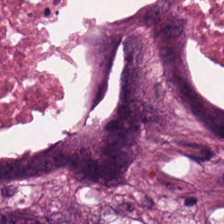Hematoxylin and eosin; 0.5 µm/px. The predominant tissue is necrotic debris.
